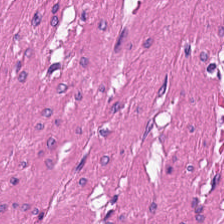H&E stain. FFPE tissue section.
Q: What tissue is shown?
A: This is smooth-muscle tissue.
